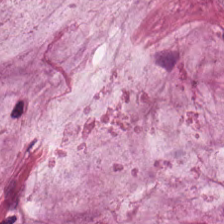H&E-stained tissue section — Classification: mucin.
